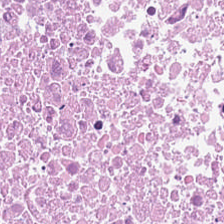Stain: H&E stain.
Classification: necrotic debris.
